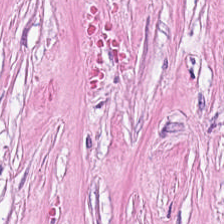Q: Classify this patch.
A: It is tumor-associated stroma.
